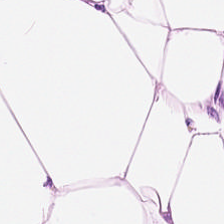Hematoxylin-and-eosin stained section. 20× equivalent magnification.
Histology → fat tissue.
